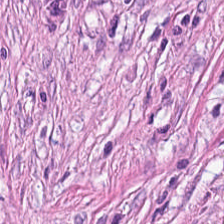Hematoxylin and eosin — Tissue type: desmoplastic stroma.
